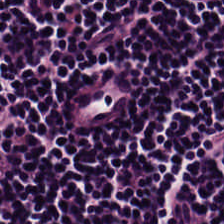H&E patch showing lymphocyte aggregate.
